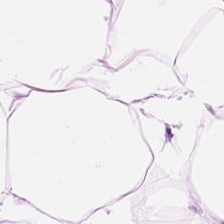Hematoxylin-and-eosin stained section. 224×224 pixel tile. The tissue is adipocytes.
